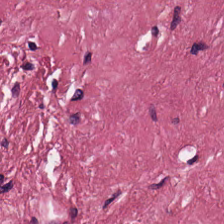The predominant tissue is cancer-associated stroma.
